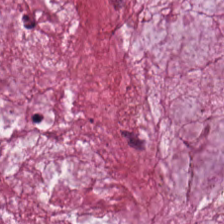H&E-stained tissue section. Extracellular mucin.
